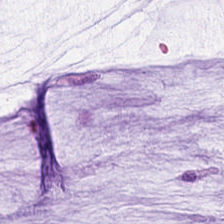H&E.
Q: Identify the tissue.
A: This is mucin.
